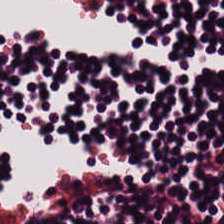Stain: hematoxylin-and-eosin stained section.
Tile size: 224×224 pixel tile.
Preparation: formalin-fixed paraffin-embedded section.
Classification: lymphocyte aggregate.
